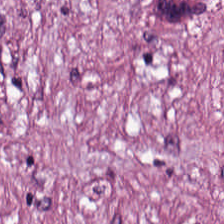H&E stain — Classification = tumor stroma.
